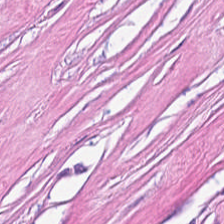H&E stain. 224×224 px patch. 0.5 microns per pixel — Q: Identify the tissue.
A: Tumor-associated stroma.
